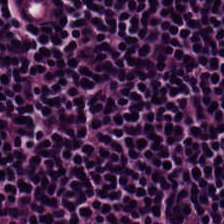Histology — lymphocytic infiltrate.
